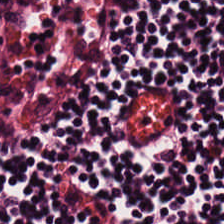Stain: H&E-stained tissue section.
Classification: lymphocyte aggregate.
